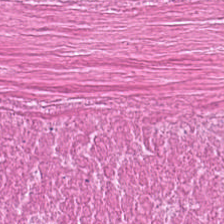Formalin-fixed paraffin-embedded section; H&E-stained tissue section.
Tissue: cellular debris.
